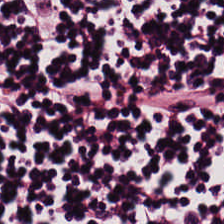224×224 px tile. Hematoxylin and eosin.
This field is lymphocytic infiltrate.
